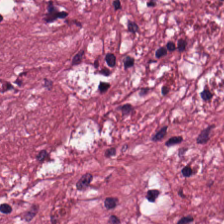Finding → desmoplastic stroma.
